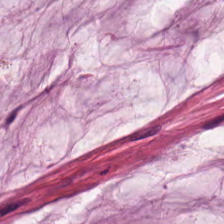H&E · brightfield microscopy. The predominant tissue is mucin.
